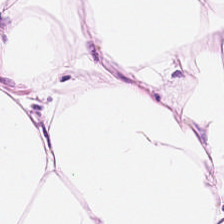Hematoxylin-and-eosin stained section — Adipose.
